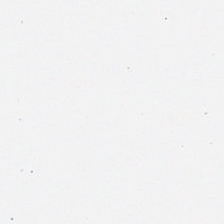H&E stain. 20× equivalent magnification.
No tissue present; background only.
